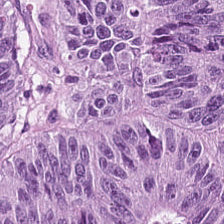H&E. 20× equivalent magnification — This field is tumor epithelium.
